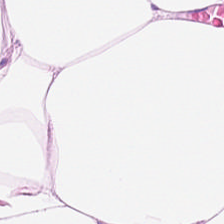{"tissue_type": "fat tissue"}
